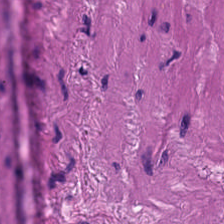FFPE; 0.5 µm/px; H&E. Tissue type — muscularis.
